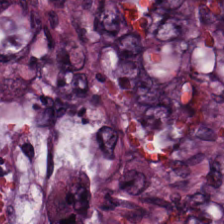Stain: hematoxylin and eosin.
Acquisition: brightfield microscopy.
Classification: malignant epithelium.
